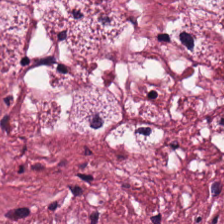Stain: H&E-stained tissue section.
Tile size: 224×224 pixel tile.
Acquisition: brightfield.
Classification: desmoplastic stroma.
